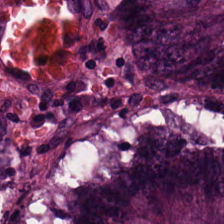Hematoxylin and eosin. Classification = colorectal adenocarcinoma.
